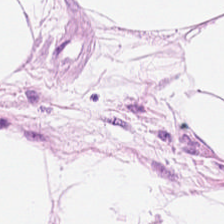Hematoxylin-and-eosin stained section — Q: What is the predominant tissue type?
A: Adipocytes.
